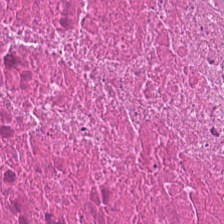FFPE · H&E. This field is necrotic debris.
